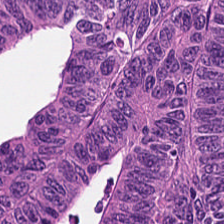FFPE tissue section. H&E. 224×224 px tile — Adenocarcinoma.
